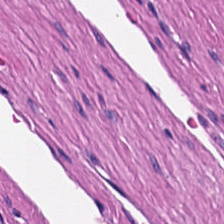H&E — Q: Classify this patch.
A: The field shows muscularis.
